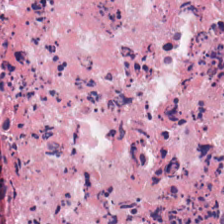H&E · formalin-fixed paraffin-embedded section — The predominant tissue is cellular debris.
